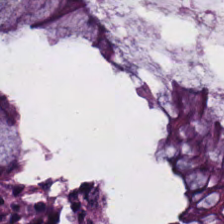Hematoxylin-and-eosin stained section — Classification = benign colonic mucosa.
